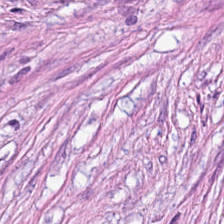Stain: hematoxylin-and-eosin stained section.
Tissue class: desmoplastic stroma.
